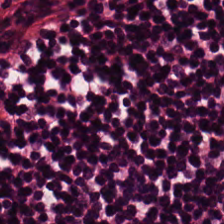H&E.
Tissue type: lymphocyte aggregate.
